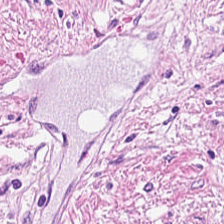Stain: hematoxylin-and-eosin stained section.
Acquisition: brightfield.
Classification: tumor-associated stroma.
